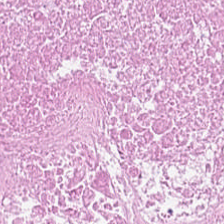Stain: hematoxylin-and-eosin stained section.
Acquisition: brightfield microscopy.
Classification: cellular debris.
